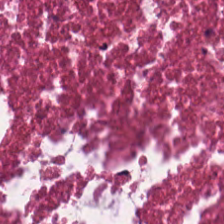FFPE. H&E-stained tissue section. WSI patch. The predominant tissue is necrotic debris.
